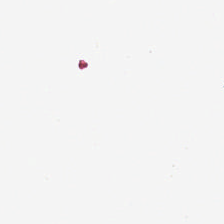Hematoxylin and eosin. The field content is background.
